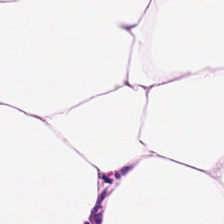H&E stain — Tissue class — fat tissue.
